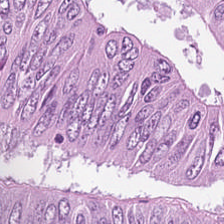224×224 px tile · 20× equivalent magnification · hematoxylin-and-eosin stained section.
The tissue here is colorectal adenocarcinoma epithelium.
